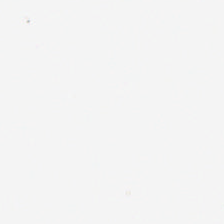H&E stain — The classification is empty background.
